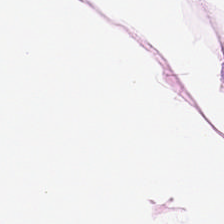H&E-stained tissue section. Adipose.
